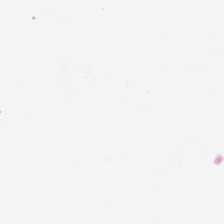Brightfield microscopy. Hematoxylin and eosin. Background — no tissue in this field.
